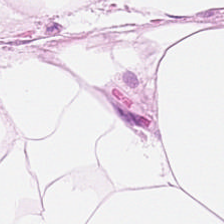Histology → adipose tissue.
